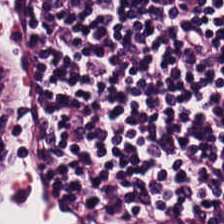This patch shows lymphocytes.
